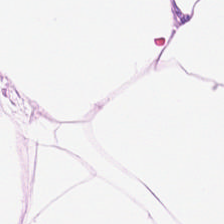H&E. Tissue type — fat tissue.
